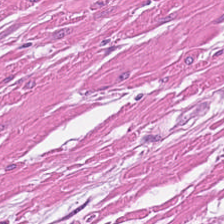224×224 pixel tile · brightfield microscopy · H&E. Predominant tissue: smooth muscle.
